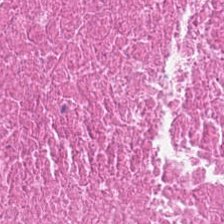H&E stain — Showing necrotic debris.
